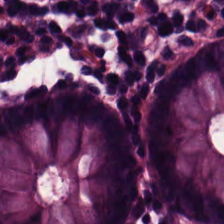Stain: H&E.
Tissue class: benign colonic mucosa.
